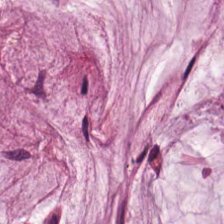H&E — Tissue class: mucin.
